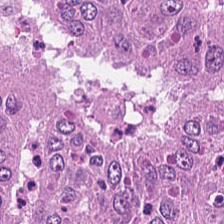Stain: H&E.
Preparation: FFPE tissue section.
Predominant tissue: tumor epithelium.
